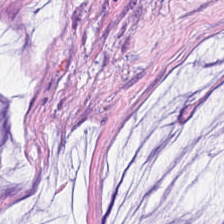H&E. Q: What tissue is shown?
A: This is mucin.
